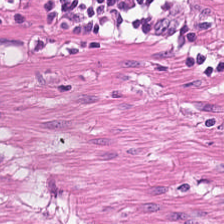H&E-stained tissue section · formalin-fixed paraffin-embedded section · 224×224 px tile.
Finding → smooth-muscle tissue.
